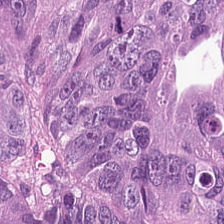Hematoxylin-and-eosin stained section.
{"tissue_type": "colorectal adenocarcinoma"}
